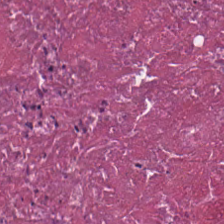Q: What tissue is shown?
A: Necrotic debris.
